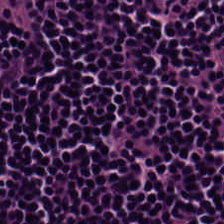Tissue class = lymphocyte aggregate.
